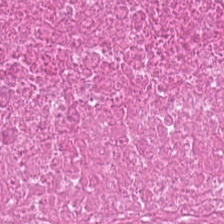H&E-stained section; the field shows necrotic debris.
